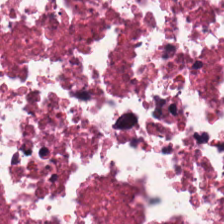H&E stain · FFPE · 224×224 pixel tile. Q: What is shown in this field?
A: Necrotic debris.
